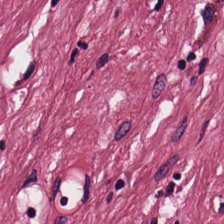H&E patch showing desmoplastic stroma.
